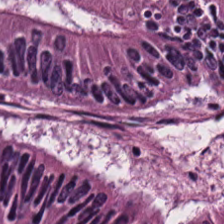Impression — tumor epithelium.
